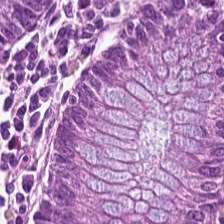20× equivalent magnification. Hematoxylin-and-eosin stained section. Formalin-fixed paraffin-embedded section.
Showing benign colonic mucosa.
